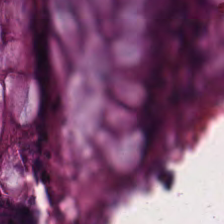Hematoxylin and eosin · brightfield microscopy · 0.5 µm per pixel. This field is benign colonic mucosa.
